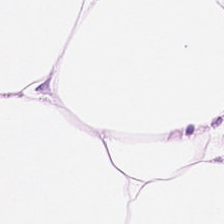Brightfield microscopy. H&E-stained tissue section.
Showing adipocytes.
